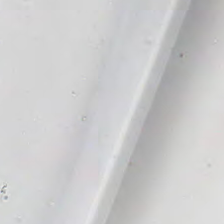Whole-slide-image patch. Hematoxylin and eosin. Background (no tissue).
